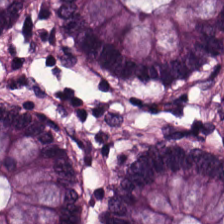Classification = benign colonic mucosa.
